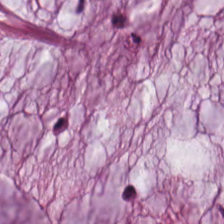H&E stain — The classification is mucin.
